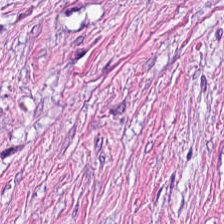FFPE · hematoxylin and eosin · 224×224 px tile.
Tissue type = tumor stroma.
